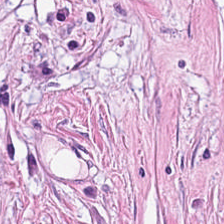H&E stain. Histology — cancer-associated stroma.
